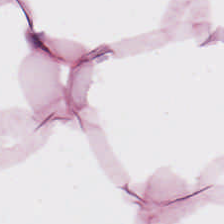{"tissue_type": "fat tissue"}
